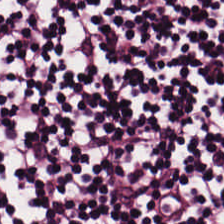H&E-stained tissue section.
Tissue: lymphocyte aggregate.
